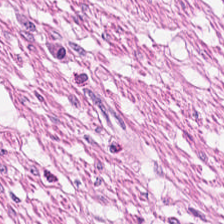0.5 microns per pixel. Hematoxylin-and-eosin stained section — Showing smooth-muscle tissue.
